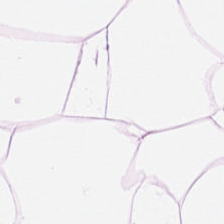Hematoxylin and eosin.
Tissue type = adipose tissue.
